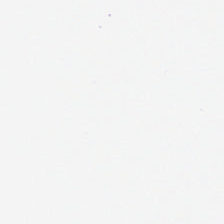Hematoxylin and eosin — No tissue.
